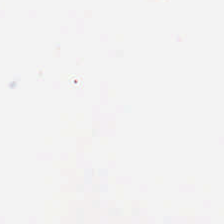H&E · FFPE tissue section — Q: What is shown in this field?
A: This is no tissue.
